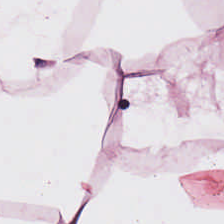H&E. 0.5 µm per pixel. Showing fat tissue.
